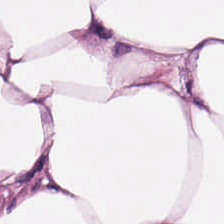Brightfield microscopy. FFPE. Hematoxylin and eosin.
Tissue — adipose tissue.
